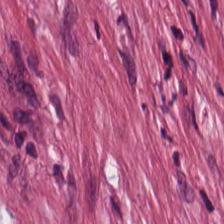Stain: hematoxylin and eosin.
Classification: cancer-associated stroma.
